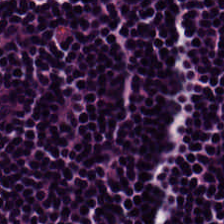Stain: H&E stain.
Acquisition: brightfield microscopy.
Preparation: FFPE tissue section.
Tissue class: lymphocytic infiltrate.
